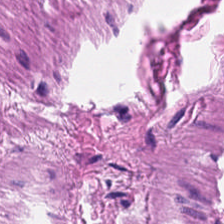H&E-stained tissue section — The predominant tissue is smooth muscle.
